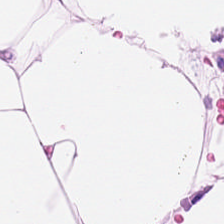H&E. 224×224 pixel tile — This patch shows fat tissue.
